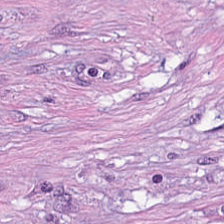Q: What tissue is shown?
A: Tumor-associated stroma.
